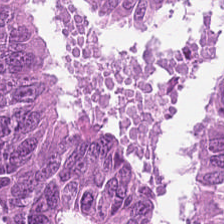Stain: hematoxylin-and-eosin stained section.
Preparation: FFPE tissue section.
Tissue class: colorectal adenocarcinoma.
